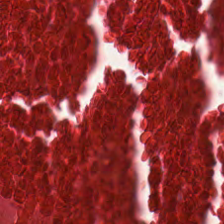20× equivalent magnification; H&E-stained tissue section. The tissue here is debris.
